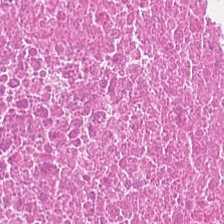Stain: hematoxylin-and-eosin stained section.
Tile size: 224×224 pixel tile.
Tissue class: cellular debris.
